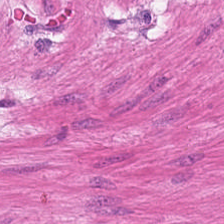H&E. Predominantly smooth muscle.
